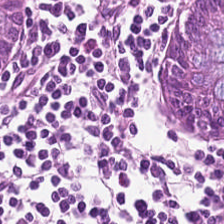Stain: H&E.
Preparation: FFPE tissue section.
Acquisition: whole-slide-image patch.
Tissue class: normal colon mucosa.
